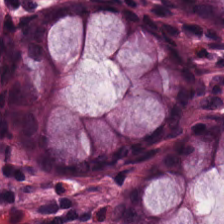Hematoxylin and eosin — This patch shows benign colonic mucosa.
